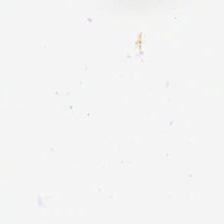H&E. Q: What is shown here?
A: It is no tissue.
